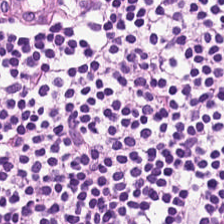H&E. FFPE tissue section. Brightfield microscopy — Predominantly lymphocytes.
